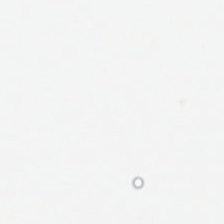Stain: hematoxylin and eosin.
Resolution: 0.5 µm per pixel.
Acquisition: brightfield microscopy.
Content: empty background.
